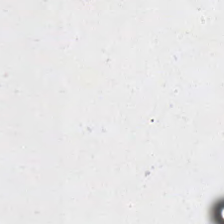Stain: H&E stain.
Content: background.
